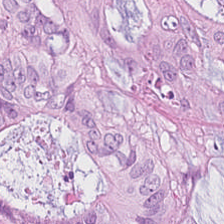H&E patch showing adenocarcinoma.
